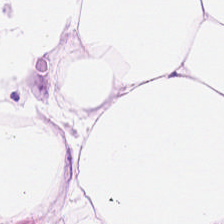224×224 pixel tile; hematoxylin and eosin.
This field is adipocytes.
